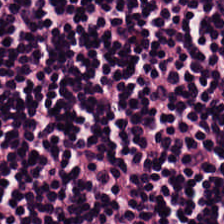H&E — lymphocytic infiltrate.
